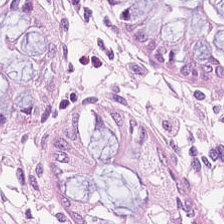Hematoxylin-and-eosin stained section.
Benign colonic mucosa.
